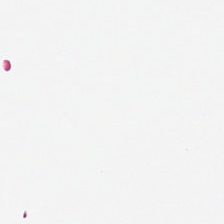Hematoxylin-and-eosin stained section · 224×224 px tile · FFPE tissue section.
Background — no tissue in this field.
